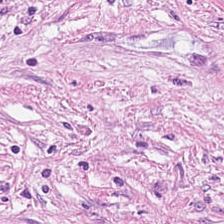H&E-stained tissue section showing cancer-associated stroma.
